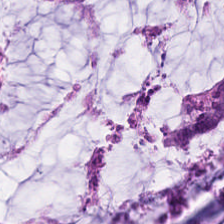Hematoxylin-and-eosin stained section.
Tissue — mucin.
